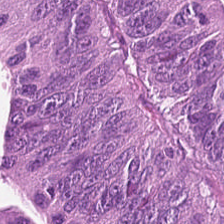224×224 px patch. H&E-stained tissue section. Predominant tissue — colorectal adenocarcinoma epithelium.
